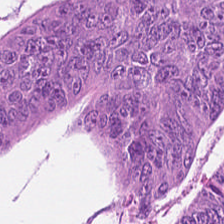Hematoxylin-and-eosin stained section. 224×224 px tile. Q: What is shown here?
A: The field shows adenocarcinoma.
